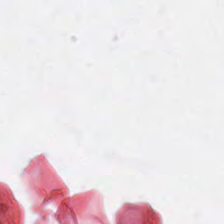H&E-stained tissue section — Q: What is shown in this field?
A: This is background.
